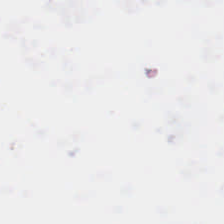{"content": "empty background"}
